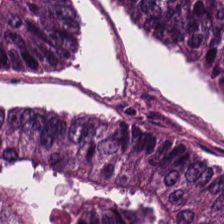H&E stain. 224×224 pixel tile. Whole-slide-image patch — Histology → tumor epithelium.
